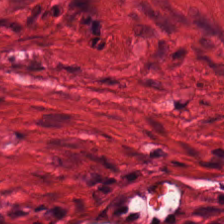WSI patch · H&E — Smooth muscle.
